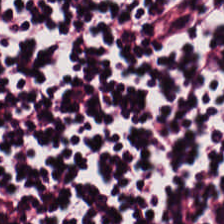H&E · 20× equivalent magnification — Q: What type of tissue is this?
A: This is lymphocytes.
